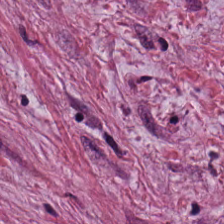Hematoxylin-and-eosin stained section — Impression — desmoplastic stroma.
